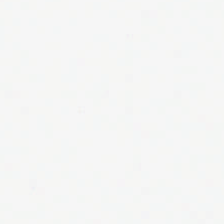Formalin-fixed paraffin-embedded section. 224×224 px patch. Hematoxylin-and-eosin stained section. This patch shows empty background.
